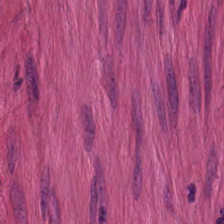0.5 microns per pixel. H&E stain.
Q: What does this patch show?
A: The field shows muscularis.
